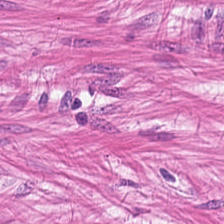Stain: H&E.
Tile size: 224×224 pixel tile.
Resolution: 0.5 µm/px.
Tissue type: smooth-muscle tissue.
